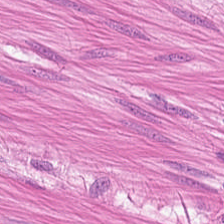H&E-stained tissue section — Predominant tissue = muscularis.
